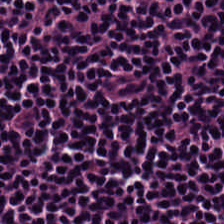Tissue type: lymphocyte aggregate.
